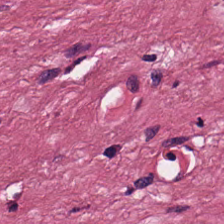Hematoxylin-and-eosin stained section.
Q: What does this patch show?
A: This is tumor stroma.
